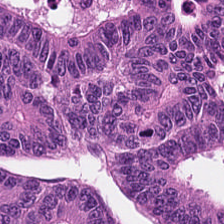H&E.
Showing colorectal adenocarcinoma epithelium.
